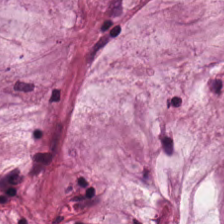224×224 pixel tile. H&E stain. FFPE tissue section — This patch shows mucus.
